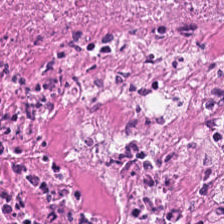H&E-stained tissue section. Finding — necrotic debris.
